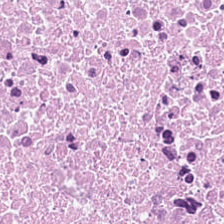H&E · 20× equivalent magnification. Q: What is shown here?
A: Cellular debris.
